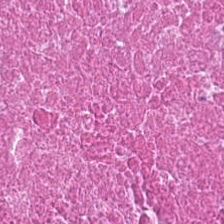FFPE tissue section; hematoxylin-and-eosin stained section.
Showing debris.
